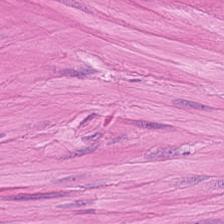H&E-stained tissue section; 224×224 px patch — Smooth-muscle tissue.
